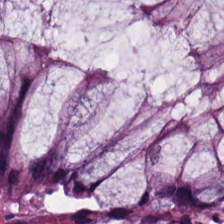0.5 µm per pixel · hematoxylin and eosin · WSI patch. Q: Identify the tissue.
A: The field shows normal colon mucosa.
